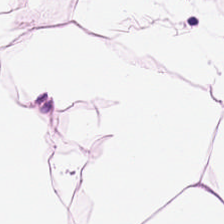224×224 pixel tile; H&E-stained tissue section — The classification is adipose.
